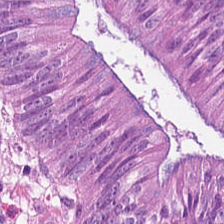Stain: H&E.
Preparation: FFPE tissue section.
Classification: adenocarcinoma.
